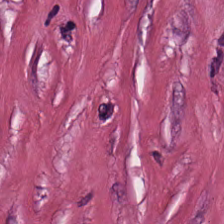Stain: H&E-stained tissue section.
Tile size: 224×224 px patch.
Predominant tissue: cancer-associated stroma.
